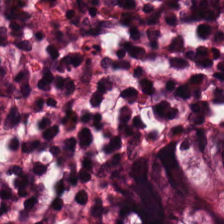Stain: H&E.
Resolution: 20× equivalent magnification.
Preparation: FFPE.
Classification: normal colonic mucosa.
